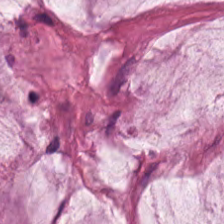Stain: hematoxylin and eosin.
Classification: mucin.
